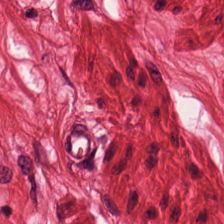The tissue class is smooth-muscle tissue.
